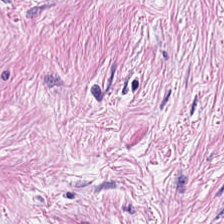224×224 pixel tile; FFPE; H&E stain — Classification: tumor stroma.
